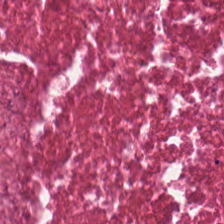Hematoxylin-and-eosin stained section · formalin-fixed paraffin-embedded section — Showing necrotic debris.
